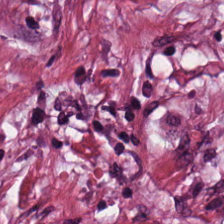H&E stain. 224×224 px tile. Brightfield microscopy.
The classification is tumor-associated stroma.
